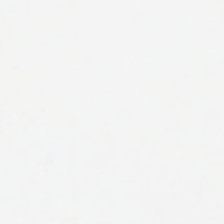Q: What is shown here?
A: This is no tissue.
